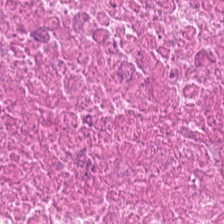H&E-stained tissue section.
The predominant tissue is necrotic debris.
